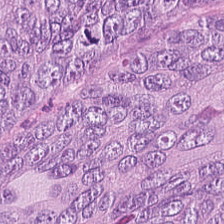FFPE tissue section. H&E-stained tissue section. Whole-slide-image patch.
Tissue type = malignant epithelium.
